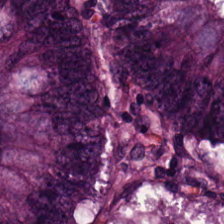20× equivalent magnification. Hematoxylin-and-eosin stained section. Formalin-fixed paraffin-embedded section.
The predominant tissue is colorectal adenocarcinoma.
